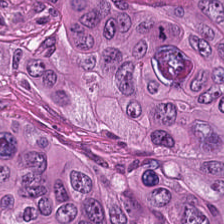H&E-stained section; the field shows malignant epithelium.
